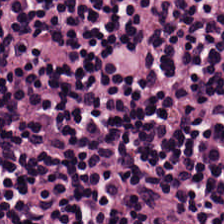H&E-stained tissue section. 224×224 px patch. WSI patch — Tissue type: lymphocyte aggregate.
